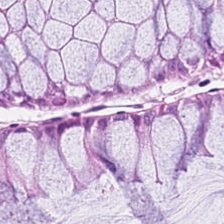H&E-stained section; the field shows non-neoplastic colon mucosa.
